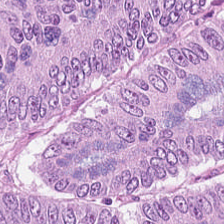Hematoxylin and eosin · 0.5 µm per pixel.
Q: What is the predominant tissue type?
A: This is malignant epithelium.
